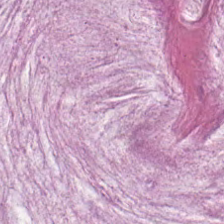Tissue — extracellular mucin.
